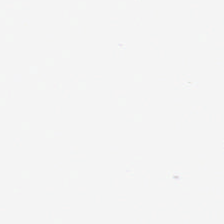H&E stain — This field is background (no tissue).
